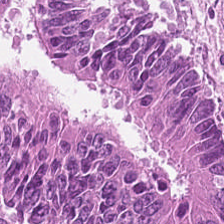Hematoxylin and eosin. The tissue here is colorectal adenocarcinoma.
